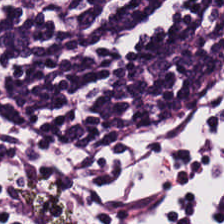Hematoxylin-and-eosin stained section. Formalin-fixed paraffin-embedded section.
Q: What type of tissue is this?
A: This is lymphoid infiltrate.
